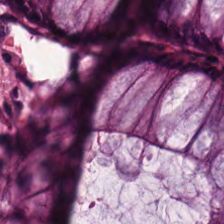Q: What tissue is shown?
A: This is normal colonic mucosa.
